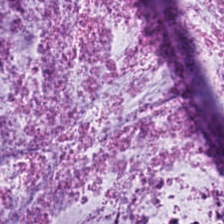Stain: H&E.
Resolution: 20× equivalent magnification.
Classification: extracellular mucin.
